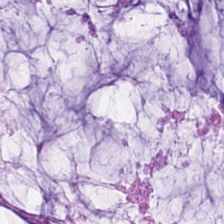H&E · 224×224 px tile — Q: What tissue is shown?
A: The field shows mucus.
